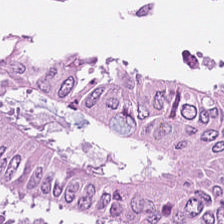H&E-stained tissue section. {"tissue_type": "adenocarcinoma"}
